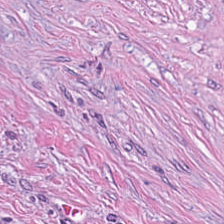This field is tumor-associated stroma.
